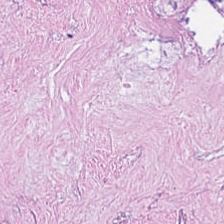H&E-stained tissue section showing debris.
